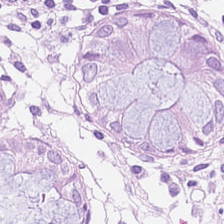H&E. Predominantly benign colonic mucosa.
